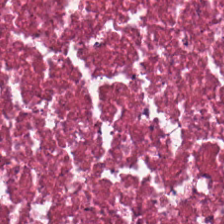H&E-stained tissue section.
{"tissue_type": "necrotic debris"}
